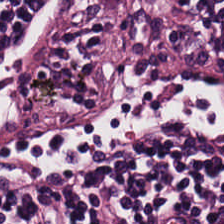H&E-stained tissue section; whole-slide-image patch — Impression → lymphocytic infiltrate.
